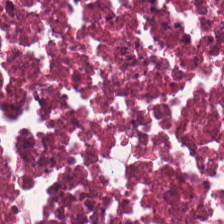Hematoxylin-and-eosin stained section. Predominant tissue: necrotic debris.
